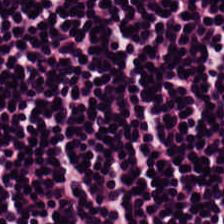H&E stain.
Histology — lymphocytes.
